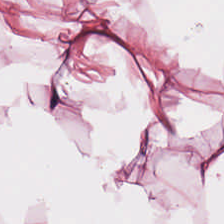Hematoxylin-and-eosin stained section. Tissue type = adipose tissue.
